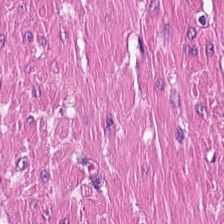Hematoxylin-and-eosin stained section. Q: What is shown here?
A: The field shows muscularis.
